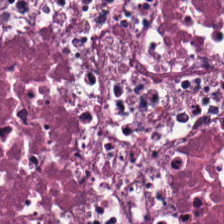H&E stain. This patch shows necrotic debris.
